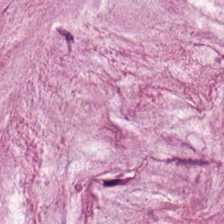0.5 µm per pixel; hematoxylin and eosin. Predominant tissue — extracellular mucin.
